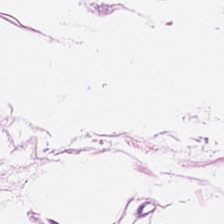WSI patch · hematoxylin-and-eosin stained section · 224×224 pixel tile — Predominant tissue: adipose.
